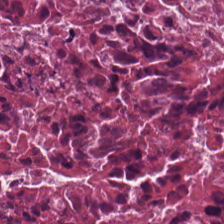Hematoxylin and eosin — Tissue type: necrotic debris.
